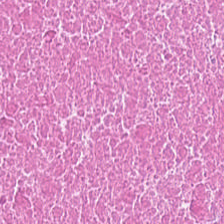H&E.
Tissue type: necrotic debris.
